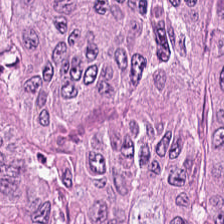Tissue — colorectal adenocarcinoma epithelium.
